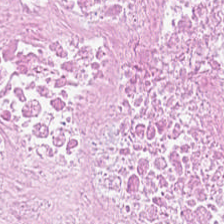WSI patch. H&E stain. The tissue here is cellular debris.
